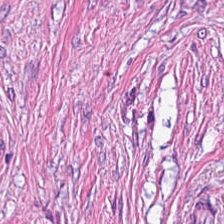Stain: hematoxylin-and-eosin stained section.
Predominant tissue: desmoplastic stroma.
